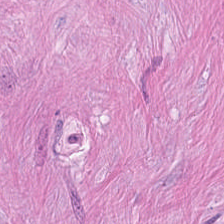H&E. This patch shows tumor-associated stroma.
